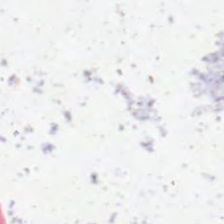H&E; brightfield; 224×224 px patch. No tissue.
